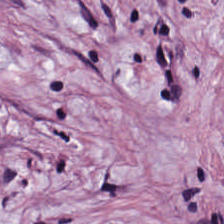Q: What tissue is shown?
A: It is desmoplastic stroma.
